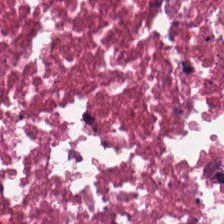H&E stain. Predominant tissue = necrotic debris.
